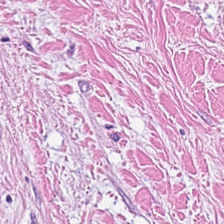224×224 px patch. H&E-stained tissue section.
Showing tumor stroma.
